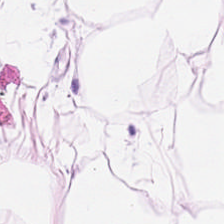224×224 px tile; whole-slide-image patch; H&E.
Predominantly fat tissue.
